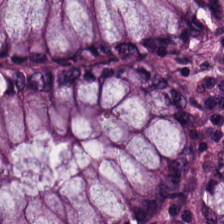This patch shows non-neoplastic colon mucosa.
